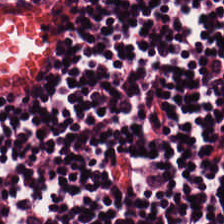Hematoxylin and eosin. Brightfield. FFPE tissue section — The classification is lymphocytes.
